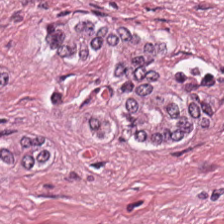Q: What does this patch show?
A: It is cancer-associated stroma.
